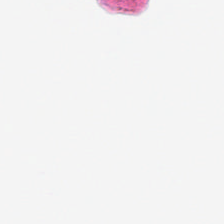FFPE; 224×224 px patch; hematoxylin and eosin. Empty field — no tissue.
